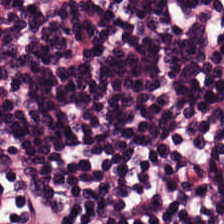H&E — Showing lymphocyte aggregate.
